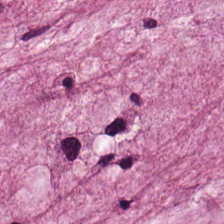{"tissue_type": "mucin"}
